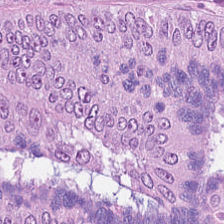Hematoxylin-and-eosin stained section. The predominant tissue is tumor epithelium.
